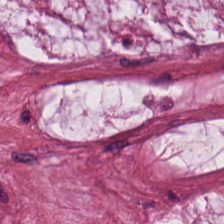Hematoxylin-and-eosin stained section.
The tissue class is mucus.
